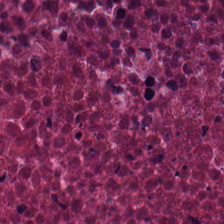20× equivalent magnification. Hematoxylin-and-eosin stained section. Formalin-fixed paraffin-embedded section.
The tissue here is necrotic debris.
